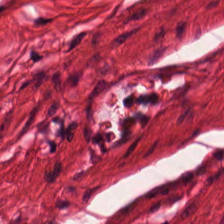20× equivalent magnification. Hematoxylin-and-eosin stained section. This patch shows muscularis.
